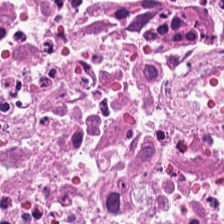Hematoxylin-and-eosin stained section. The predominant tissue is cellular debris.
